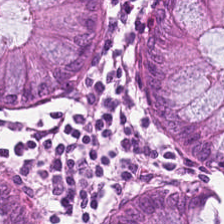Stain: hematoxylin and eosin.
Tissue: normal colon mucosa.
